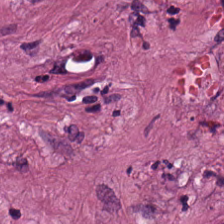0.5 µm/px. H&E-stained tissue section — Histology — desmoplastic stroma.
